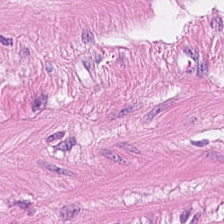H&E-stained tissue section — Histology — muscularis.
